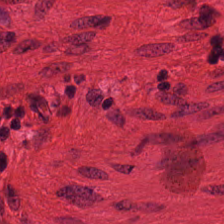Whole-slide-image patch · 224×224 pixel tile · H&E stain.
Showing muscularis.
